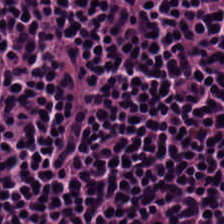H&E-stained tissue section.
This patch shows lymphocyte aggregate.
